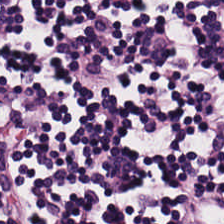Q: What is the predominant tissue type?
A: The field shows lymphocyte aggregate.
